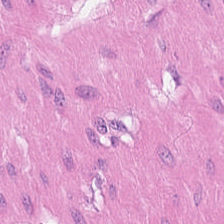Formalin-fixed paraffin-embedded section; hematoxylin-and-eosin stained section; 224×224 px tile. Predominant tissue = smooth-muscle tissue.
